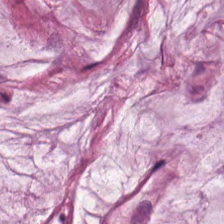Hematoxylin-and-eosin stained section. The tissue type is extracellular mucin.
